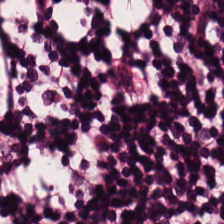H&E · 20× equivalent magnification — This field is lymphoid infiltrate.
